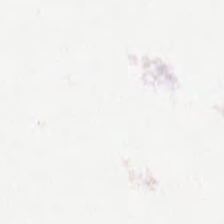Stain: H&E-stained tissue section.
Acquisition: brightfield.
Classification: empty background.
